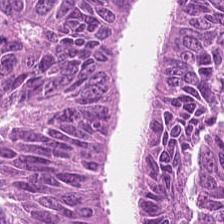224×224 pixel tile · H&E stain — The tissue here is malignant epithelium.
